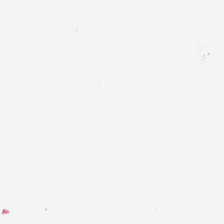Hematoxylin-and-eosin stained section — Background.
